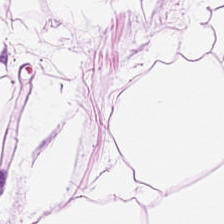H&E.
Q: What is the predominant tissue type?
A: It is adipocytes.
